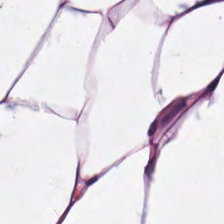H&E stain.
Histology → adipocytes.
